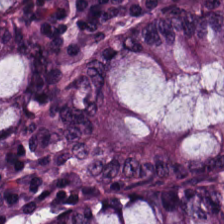Hematoxylin-and-eosin stained section. Predominantly normal colon mucosa.
